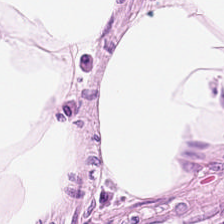H&E — Q: What tissue is shown?
A: Adipocytes.
